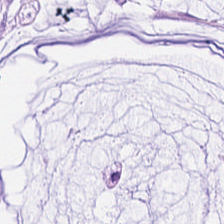WSI patch. H&E.
Q: Identify the tissue.
A: Mucus.
